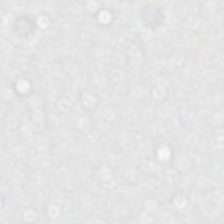Stain: H&E stain.
Resolution: 0.5 microns per pixel.
Field content: empty background.
